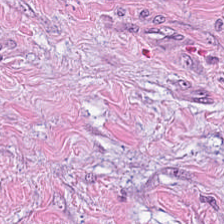Stain: H&E.
Acquisition: brightfield.
Classification: tumor-associated stroma.
